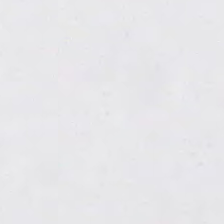Brightfield. H&E stain. 224×224 px tile.
No tissue present; background only.
